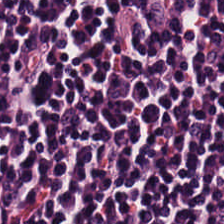H&E.
{"tissue_type": "lymphoid infiltrate"}
